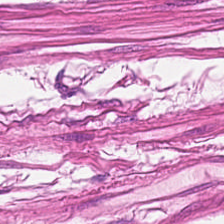Stain: H&E.
Tissue type: smooth muscle.
